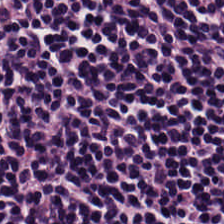0.5 µm/px. Whole-slide-image patch. Hematoxylin-and-eosin stained section.
The tissue is lymphocyte aggregate.
